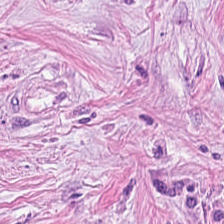Stain: H&E-stained tissue section.
Predominant tissue: desmoplastic stroma.
